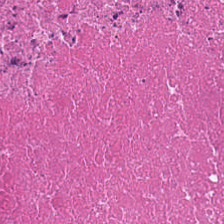Whole-slide-image patch · H&E · 0.5 µm per pixel — This field is necrotic debris.
